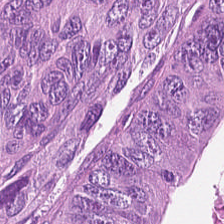Brightfield microscopy · hematoxylin-and-eosin stained section — The predominant tissue is colorectal adenocarcinoma epithelium.
